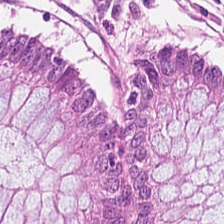Stain: H&E.
Classification: benign colonic mucosa.
